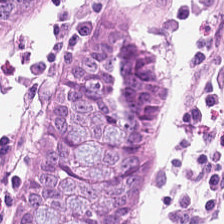Showing non-neoplastic colon mucosa.
